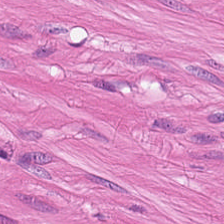WSI patch · H&E-stained tissue section.
Histology → muscularis.
